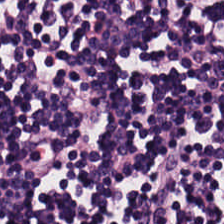H&E-stained tissue section. {"tissue_type": "lymphocyte aggregate"}
